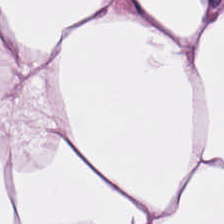Classification — adipose.
